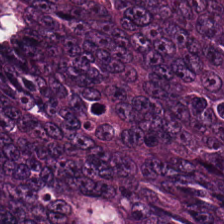Histology — malignant epithelium.
